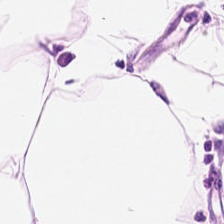Hematoxylin and eosin.
Classification: adipocytes.
